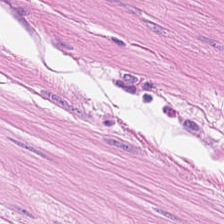Stain: H&E-stained tissue section.
Acquisition: brightfield microscopy.
Tissue: smooth-muscle tissue.
